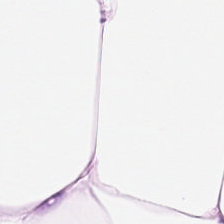WSI patch. Hematoxylin and eosin. 224×224 px tile.
Fat tissue.
